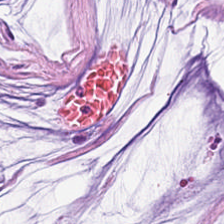224×224 px patch. Hematoxylin and eosin. WSI patch. The predominant tissue is mucin.
